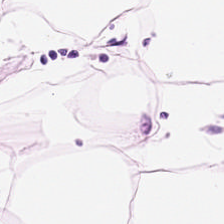0.5 microns per pixel. H&E stain — Predominantly fat tissue.
